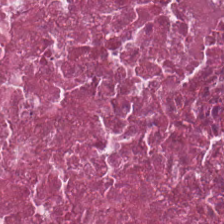20× equivalent magnification · hematoxylin and eosin · FFPE tissue section. Q: What tissue is shown?
A: The field shows cellular debris.
